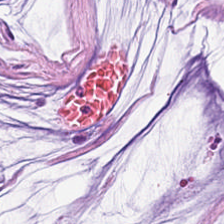0.5 µm/px · brightfield microscopy · H&E stain — Q: Identify the tissue.
A: The field shows extracellular mucin.
